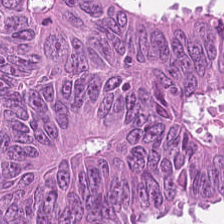Stain: H&E.
Tissue type: malignant epithelium.
